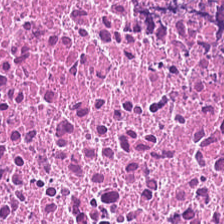Q: What is shown in this field?
A: The field shows debris.
